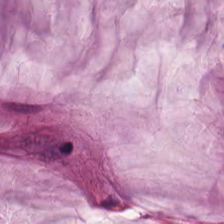Hematoxylin-and-eosin stained section — The predominant tissue is extracellular mucin.
